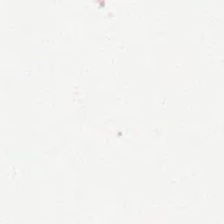Classification = empty background.
